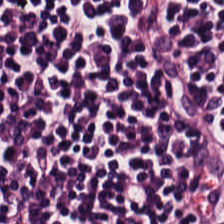224×224 px patch; H&E stain — Predominant tissue — lymphocytic infiltrate.
